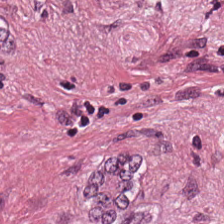Hematoxylin-and-eosin stained section. 224×224 px tile — The tissue here is cancer-associated stroma.
